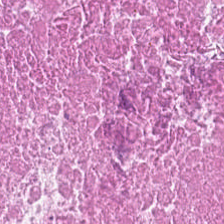H&E stain. 224×224 px patch. 0.5 µm/px — {"tissue_type": "debris"}
